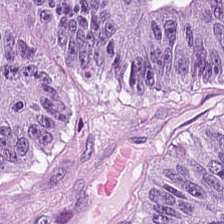Stain: H&E-stained tissue section.
Tissue: adenocarcinoma.
